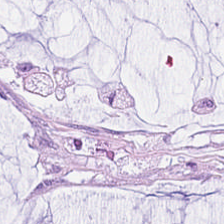Q: What tissue type is shown here?
A: The field shows extracellular mucin.
